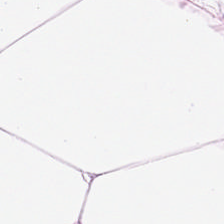H&E-stained tissue section — This patch shows fat tissue.
